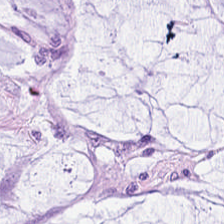H&E-stained tissue section — This field is mucus.
